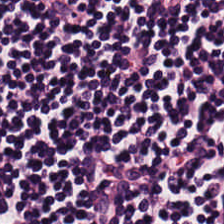Hematoxylin-and-eosin stained section.
Predominant tissue — lymphoid infiltrate.
